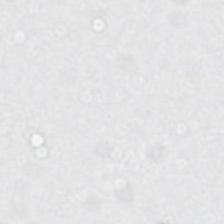Hematoxylin and eosin.
Q: What does this patch show?
A: No tissue.
